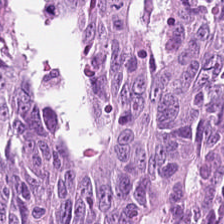Hematoxylin and eosin. Impression → colorectal adenocarcinoma.
